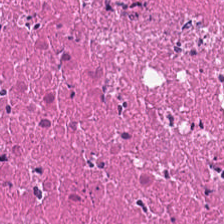Brightfield microscopy · formalin-fixed paraffin-embedded section · H&E stain — {"tissue_type": "cellular debris"}
